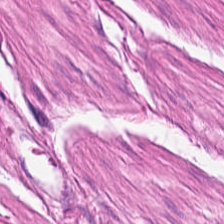224×224 px tile · brightfield microscopy · hematoxylin-and-eosin stained section — This field is muscularis.
